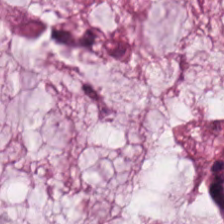224×224 px patch; WSI patch; H&E — The tissue here is mucus.
